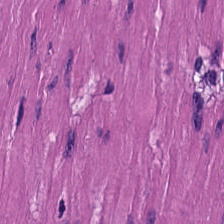Q: What is the predominant tissue type?
A: The field shows smooth-muscle tissue.
